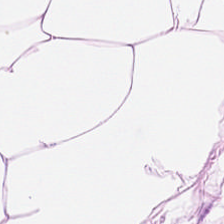224×224 px tile. H&E. This field is adipocytes.
